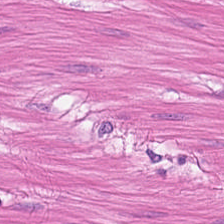H&E-stained tissue section. {"tissue_type": "muscularis"}
